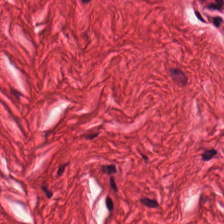H&E-stained tissue section — Classification = smooth muscle.
